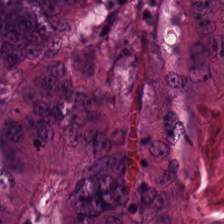This field is malignant epithelium.
